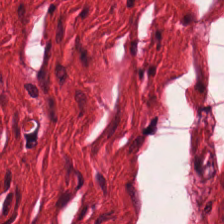This patch shows smooth muscle.
